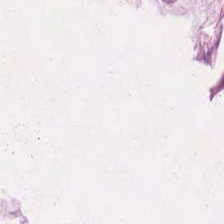Stain: H&E-stained tissue section.
Tissue class: extracellular mucin.
